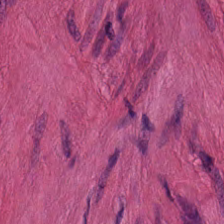WSI patch. Formalin-fixed paraffin-embedded section. H&E-stained tissue section. Predominantly smooth-muscle tissue.
